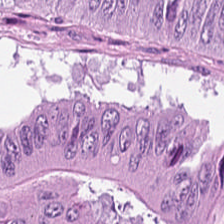FFPE tissue section. H&E. WSI patch.
Tissue = tumor epithelium.
